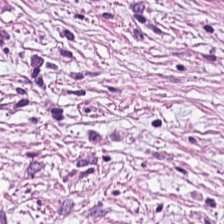H&E-stained tissue section showing desmoplastic stroma.
